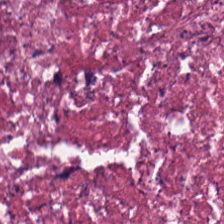Stain: H&E-stained tissue section.
Classification: debris.
